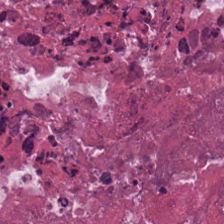Stain: H&E-stained tissue section.
Tissue class: necrotic debris.
